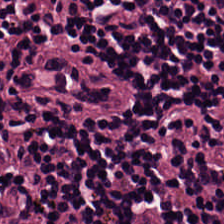0.5 µm per pixel. H&E. Brightfield microscopy — Classification — lymphocyte aggregate.
